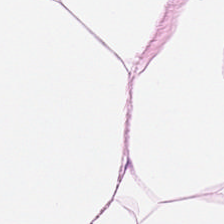H&E — fat tissue.
